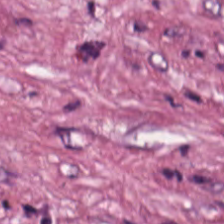Stain: H&E-stained tissue section.
Predominant tissue: tumor stroma.
